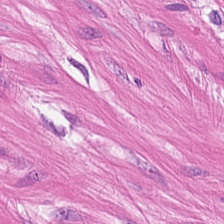0.5 µm/px. H&E-stained tissue section.
Showing smooth-muscle tissue.
